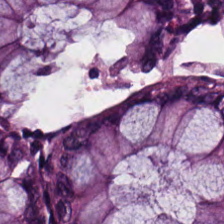H&E stain.
The tissue here is normal colon mucosa.
